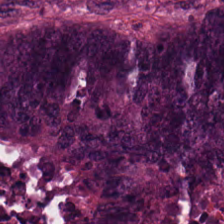Predominantly malignant epithelium.
